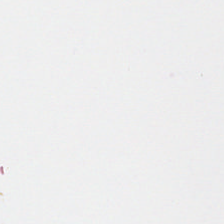H&E-stained tissue section · brightfield microscopy. Background — no tissue in this field.
